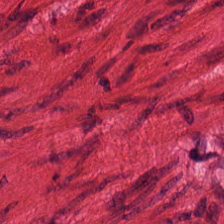0.5 µm per pixel; 224×224 px tile; H&E stain.
Q: What does this patch show?
A: It is muscularis.
